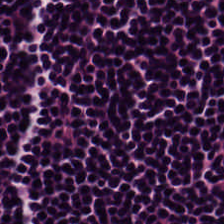Impression — lymphocytes.
